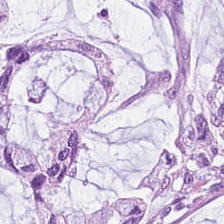The predominant tissue is mucus.
